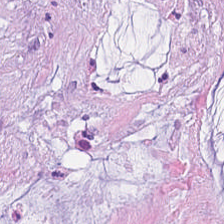Hematoxylin-and-eosin stained section · WSI patch.
The predominant tissue is mucin.
